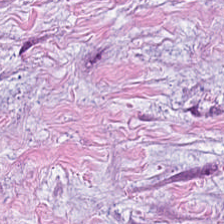Q: What tissue is shown?
A: The field shows tumor stroma.
